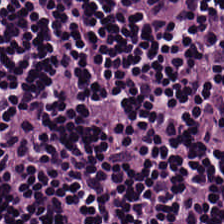H&E · brightfield microscopy · 224×224 px patch.
Q: What is shown in this field?
A: Lymphocytic infiltrate.
